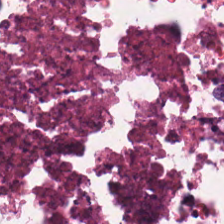224×224 px tile. Brightfield microscopy. Hematoxylin-and-eosin stained section.
Tissue: debris.
